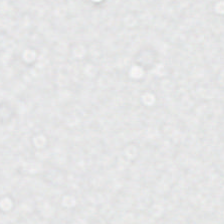Hematoxylin and eosin — Classification: background (no tissue).
